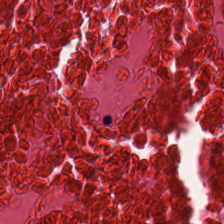H&E stain. Q: What is shown here?
A: It is cellular debris.
